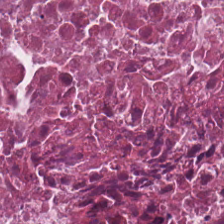H&E stain. Q: What tissue is shown?
A: The field shows cellular debris.
